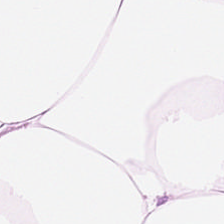Hematoxylin and eosin. Q: What does this patch show?
A: This is adipose.
